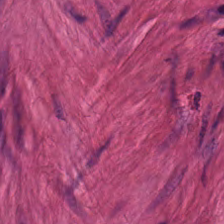H&E-stained tissue section. Predominantly smooth-muscle tissue.
